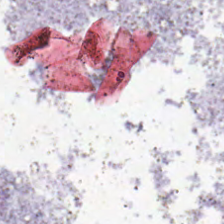The field content is background (no tissue).
